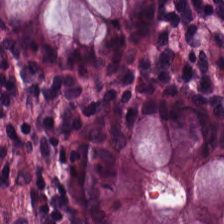Whole-slide-image patch. Hematoxylin-and-eosin stained section. 224×224 pixel tile — Showing normal colonic mucosa.
